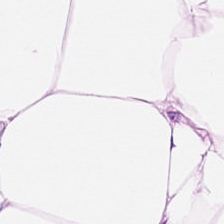FFPE tissue section. H&E-stained tissue section — The tissue here is adipose.
